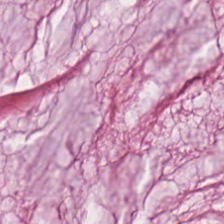This patch shows mucin.
